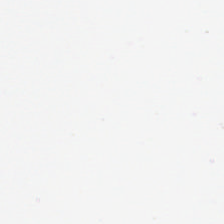Stain: hematoxylin and eosin.
Tile size: 224×224 px tile.
Field content: empty background.
